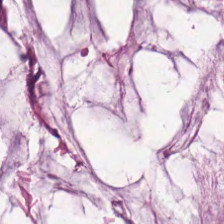224×224 px tile. H&E stain. Showing mucin.
